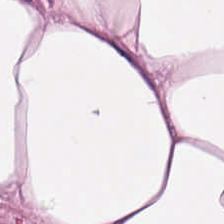Hematoxylin-and-eosin section: fat tissue.
